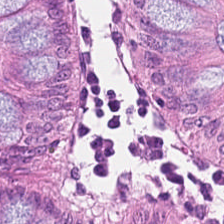H&E.
Predominantly normal colon mucosa.
